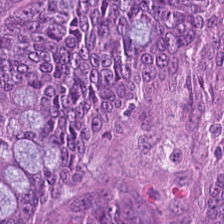H&E stain. {"tissue_type": "adenocarcinoma"}
